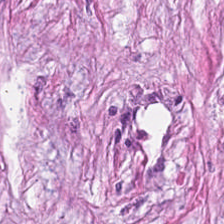H&E-stained tissue section. {"tissue_type": "tumor-associated stroma"}
